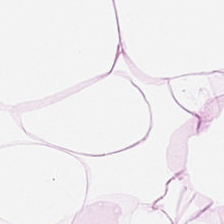H&E stain. Finding — adipose tissue.
